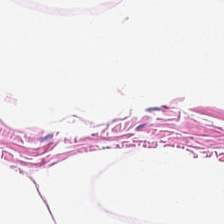Hematoxylin-and-eosin stained section — This patch shows adipose tissue.
